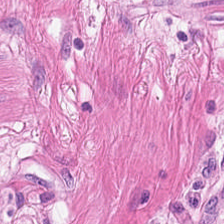Hematoxylin-and-eosin stained section — Predominant tissue — muscularis.
